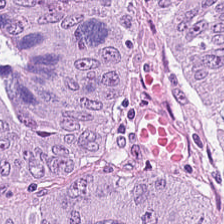This patch shows colorectal adenocarcinoma.
